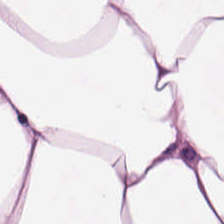FFPE tissue section; hematoxylin-and-eosin stained section — Tissue type — adipocytes.
